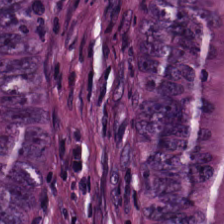Stain: H&E-stained tissue section.
Tissue type: malignant epithelium.
